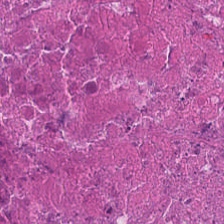H&E — cellular debris.
